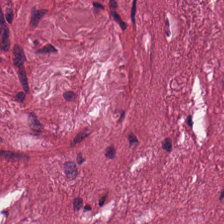The predominant tissue is tumor-associated stroma.
